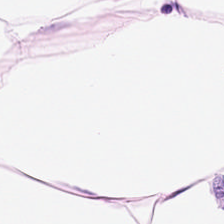H&E stain.
The predominant tissue is adipose.
